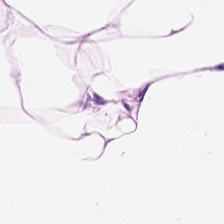H&E — This field is adipose tissue.
